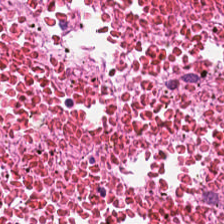The predominant tissue is debris.
